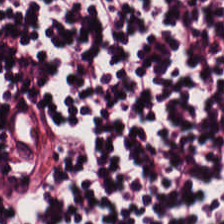Whole-slide-image patch · H&E-stained tissue section. Tissue type: lymphocyte aggregate.
